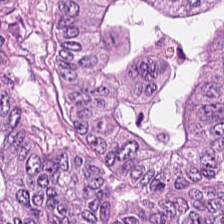Stain: H&E stain.
Tissue class: malignant epithelium.
